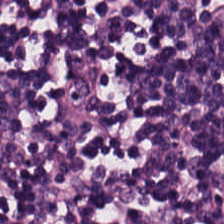The classification is lymphocytic infiltrate.
